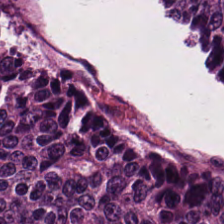Showing malignant epithelium.
